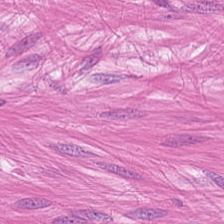Showing muscularis.
